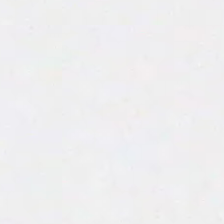Hematoxylin and eosin. Field content = empty background.
